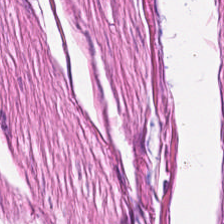H&E stain. FFPE. The tissue type is muscularis.
